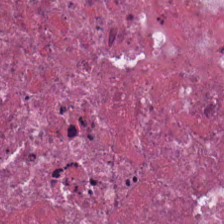Hematoxylin and eosin.
{"tissue_type": "cellular debris"}
